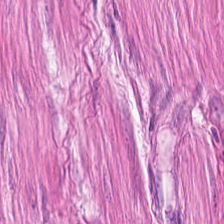Hematoxylin-and-eosin stained section. 0.5 µm per pixel. 224×224 px tile. Predominant tissue = muscularis.
